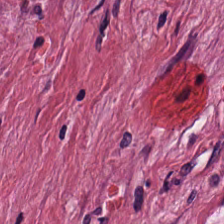Stain: H&E stain.
Tissue: tumor stroma.
